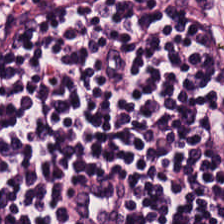The predominant tissue is lymphocyte aggregate.
